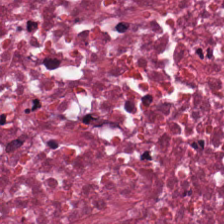Histology — cellular debris.
